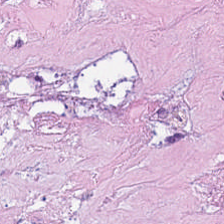H&E-stained tissue section · FFPE tissue section. Debris.
